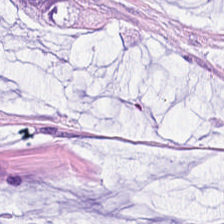Stain: hematoxylin-and-eosin stained section.
Tissue class: mucus.
